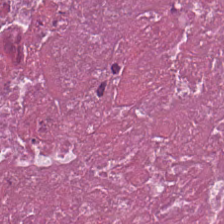Hematoxylin-and-eosin stained section. Classification = debris.
